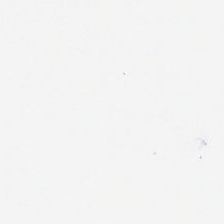Background (no tissue).
